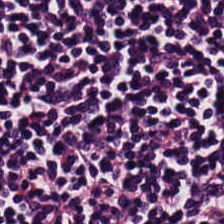20× equivalent magnification · H&E · formalin-fixed paraffin-embedded section.
Tissue class = lymphocyte aggregate.
